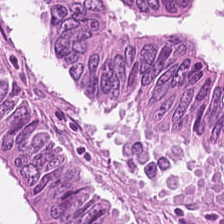Formalin-fixed paraffin-embedded section; H&E stain; whole-slide-image patch. Q: What is the predominant tissue type?
A: The field shows malignant epithelium.
